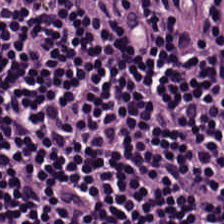Stain: hematoxylin-and-eosin stained section.
Tissue class: lymphoid infiltrate.
